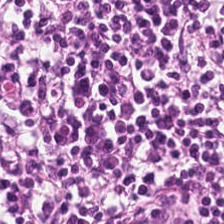This patch shows lymphoid infiltrate.
